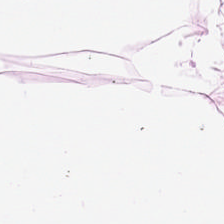{"tissue_type": "adipocytes"}
